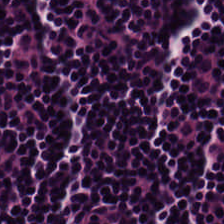Hematoxylin and eosin · WSI patch · FFPE tissue section — Predominantly lymphoid infiltrate.
